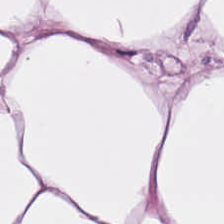Q: What is shown here?
A: It is adipose.
